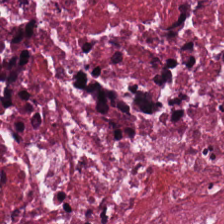224×224 px patch. H&E. The tissue here is necrotic debris.
